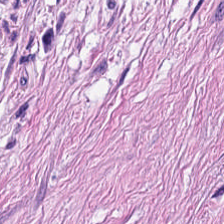H&E. Q: What is shown here?
A: It is smooth muscle.
